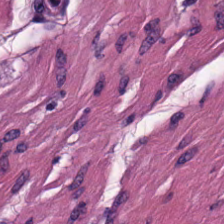Stain: hematoxylin-and-eosin stained section.
Classification: smooth-muscle tissue.
